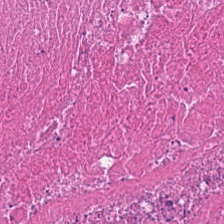H&E. WSI patch. FFPE tissue section — Tissue: cellular debris.
